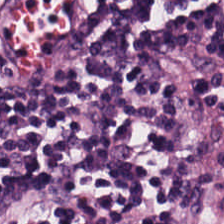H&E-stained tissue section; FFPE.
This patch shows lymphoid infiltrate.
